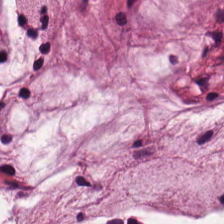Finding — mucus.
